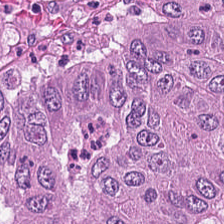Stain: H&E.
Tissue type: tumor epithelium.
